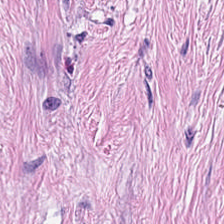H&E.
Impression — desmoplastic stroma.
